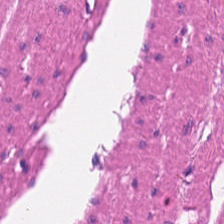H&E-stained tissue section showing smooth muscle.
